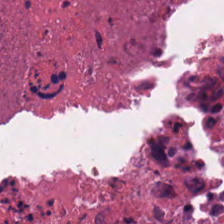H&E stain — The tissue here is debris.
